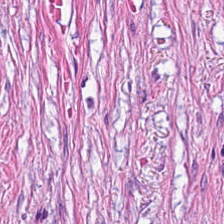Brightfield; formalin-fixed paraffin-embedded section; H&E-stained tissue section — Q: What is the predominant tissue type?
A: The field shows tumor stroma.
